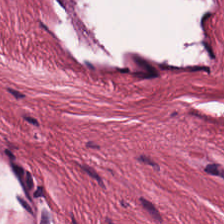Hematoxylin and eosin — Predominantly desmoplastic stroma.
